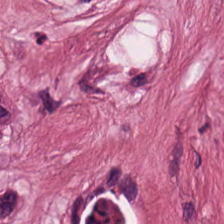Hematoxylin and eosin — Tissue — desmoplastic stroma.
